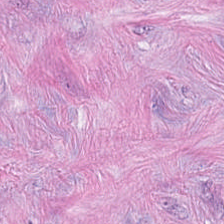Hematoxylin-and-eosin stained section. 0.5 µm per pixel.
Finding → tumor-associated stroma.
